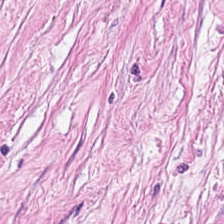Hematoxylin and eosin — Q: Classify this patch.
A: This is tumor stroma.
